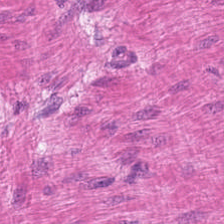Hematoxylin and eosin; brightfield — This patch shows muscularis.
